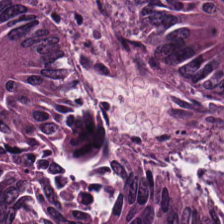Hematoxylin-and-eosin stained section · FFPE tissue section.
This field is colorectal adenocarcinoma epithelium.
